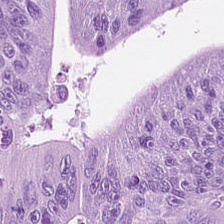H&E. Impression — colorectal adenocarcinoma epithelium.
